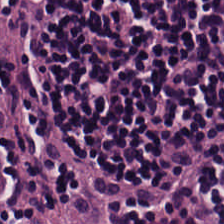Tissue: lymphocytes.
